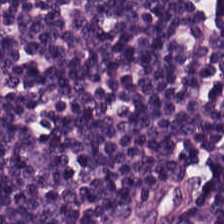0.5 µm per pixel; brightfield microscopy; hematoxylin-and-eosin stained section. Q: What tissue is shown?
A: This is lymphoid infiltrate.
